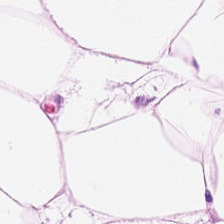H&E-stained tissue section. 224×224 px patch. FFPE tissue section.
Classification — adipocytes.
